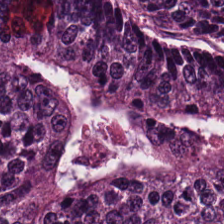H&E-stained tissue section — Q: What does this patch show?
A: Colorectal adenocarcinoma.
